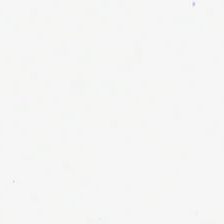Background — no tissue in this field.
